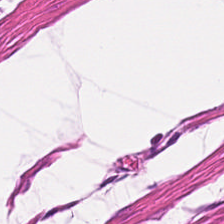WSI patch · H&E-stained tissue section — Q: What is shown here?
A: This is muscularis.
